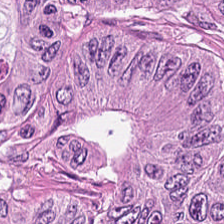Hematoxylin and eosin.
Q: What is the predominant tissue type?
A: This is malignant epithelium.
